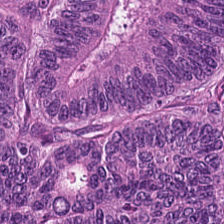Stain: H&E.
Tissue class: adenocarcinoma.
